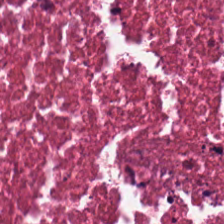Hematoxylin-and-eosin stained section.
Necrotic debris.
